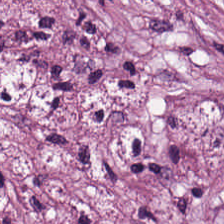224×224 px tile; 20× equivalent magnification; hematoxylin-and-eosin stained section — This patch shows tumor-associated stroma.
